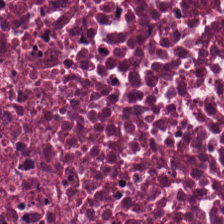Hematoxylin-and-eosin stained section.
{"tissue_type": "cellular debris"}
